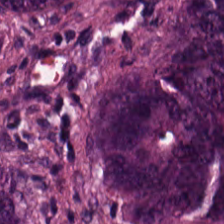Q: Identify the tissue.
A: This is adenocarcinoma.
